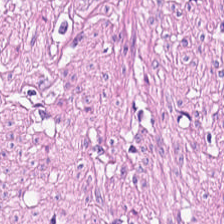H&E stain.
Q: What is shown in this field?
A: It is muscularis.
